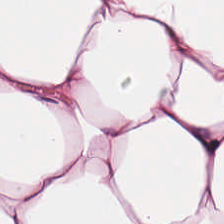Stain: H&E-stained tissue section.
Tissue class: adipose.
